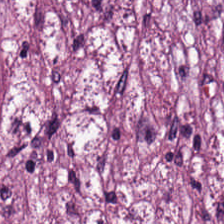{"tissue_type": "cancer-associated stroma"}
